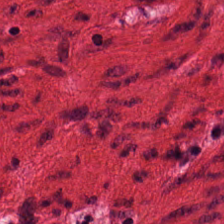Hematoxylin-and-eosin stained section — Tissue class: smooth-muscle tissue.
